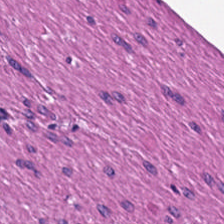H&E · formalin-fixed paraffin-embedded section — Tissue class = smooth-muscle tissue.
